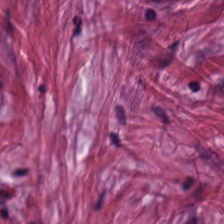H&E. FFPE — Tissue type: cancer-associated stroma.
